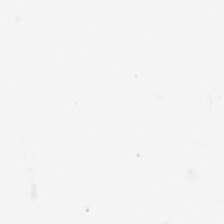Background — no tissue in this field.
